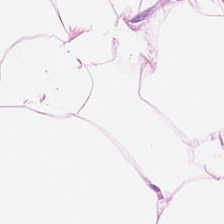H&E patch showing fat tissue.
